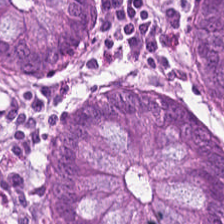H&E. Q: What tissue is shown?
A: It is normal colonic mucosa.
